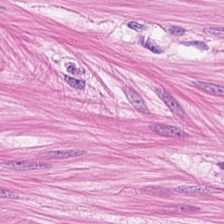H&E stain.
Tissue type = muscularis.
